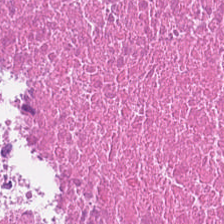H&E. 20× equivalent magnification — The predominant tissue is debris.
